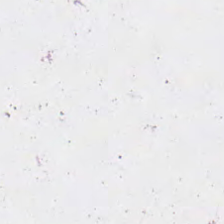Background — no tissue in this field.
